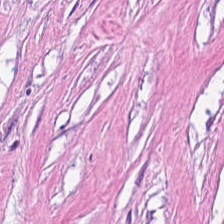20× equivalent magnification; H&E; brightfield microscopy — Q: What tissue type is shown here?
A: This is tumor-associated stroma.
